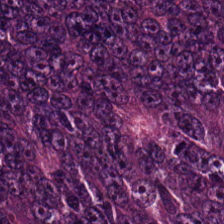224×224 pixel tile; hematoxylin-and-eosin stained section; whole-slide-image patch. Q: What is shown in this field?
A: This is malignant epithelium.
